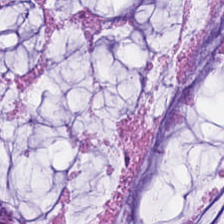Q: What type of tissue is this?
A: Extracellular mucin.
